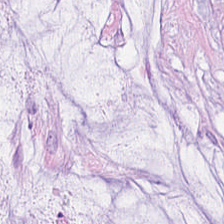H&E stain.
Predominantly extracellular mucin.
